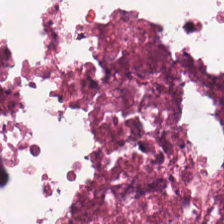Hematoxylin-and-eosin section: cellular debris.
